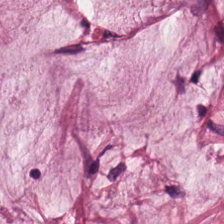20× equivalent magnification · H&E stain — The classification is mucin.
